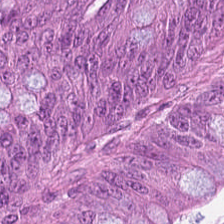0.5 microns per pixel. Hematoxylin and eosin. Formalin-fixed paraffin-embedded section.
Classification — malignant epithelium.
